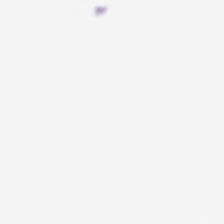H&E stain. 20× equivalent magnification — Q: Classify this patch.
A: It is background.
